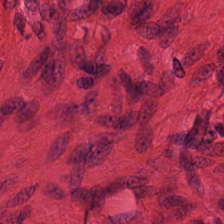{"tissue_type": "muscularis"}
